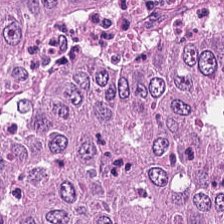Stain: H&E-stained tissue section.
Tile size: 224×224 px tile.
Tissue class: tumor epithelium.
